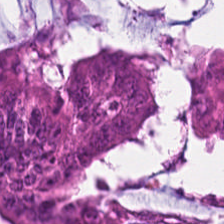20× equivalent magnification. H&E-stained tissue section. FFPE tissue section.
The predominant tissue is colorectal adenocarcinoma.
